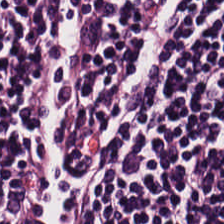H&E-stained tissue section — Finding — lymphocytic infiltrate.
